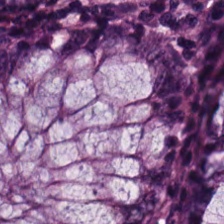Finding → normal colon mucosa.
